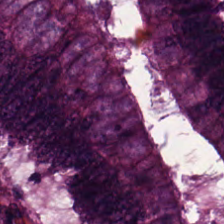Hematoxylin and eosin.
Tissue — malignant epithelium.
